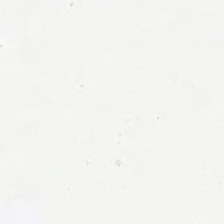H&E. This field is background (no tissue).
